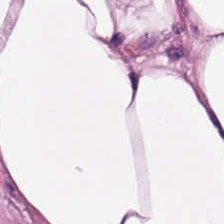Brightfield microscopy · hematoxylin-and-eosin stained section. Predominant tissue: adipose.
